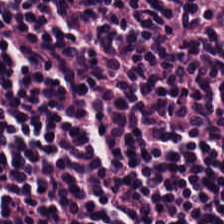0.5 microns per pixel. H&E-stained tissue section. Formalin-fixed paraffin-embedded section.
Showing lymphoid infiltrate.
